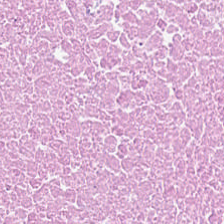This field is necrotic debris.
